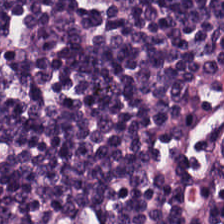Formalin-fixed paraffin-embedded section · 0.5 microns per pixel · H&E-stained tissue section.
The tissue type is lymphocytic infiltrate.
